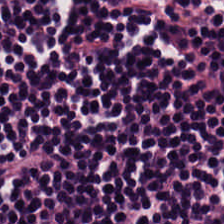Stain: H&E-stained tissue section.
Tissue class: lymphocyte aggregate.
